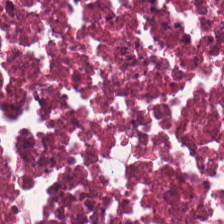H&E stain.
The tissue type is cellular debris.
